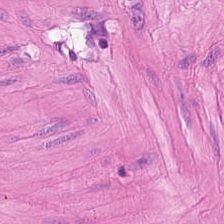0.5 microns per pixel; whole-slide-image patch; hematoxylin and eosin. This patch shows smooth-muscle tissue.
